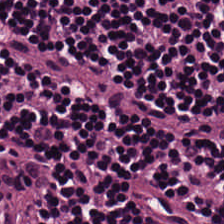H&E-stained section; the field shows lymphocytes.
